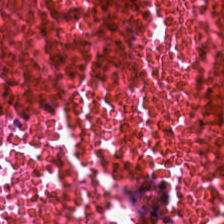H&E.
This patch shows debris.
